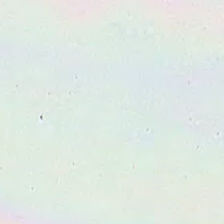H&E. Histology — no tissue.
